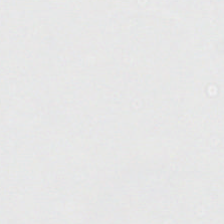Hematoxylin and eosin. Brightfield microscopy — Q: What does this patch show?
A: This is background.
